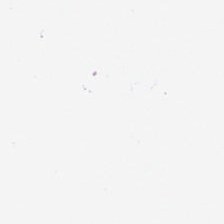Empty field — background (no tissue).
